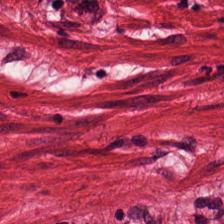H&E-stained tissue section showing muscularis.
